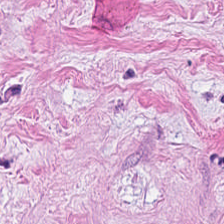Formalin-fixed paraffin-embedded section; hematoxylin and eosin; brightfield. Cancer-associated stroma.
